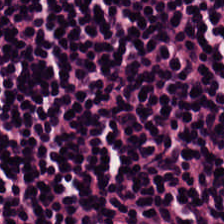Hematoxylin-and-eosin stained section. This field is lymphocyte aggregate.
